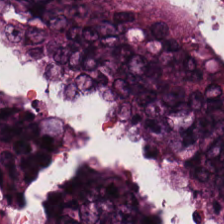Histology → malignant epithelium.
